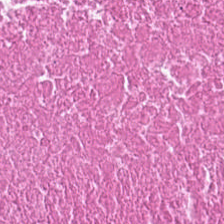Whole-slide-image patch; formalin-fixed paraffin-embedded section; hematoxylin-and-eosin stained section. Q: What is shown in this field?
A: It is necrotic debris.
